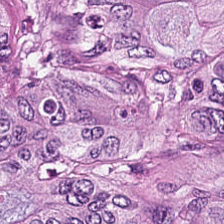224×224 px tile; 0.5 microns per pixel; hematoxylin-and-eosin stained section — The tissue class is malignant epithelium.
